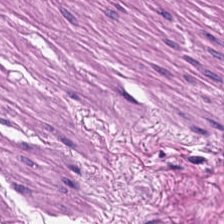Hematoxylin and eosin — Showing smooth muscle.
